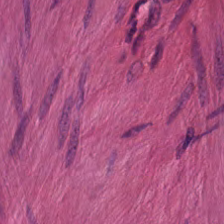H&E-stained tissue section · 224×224 px tile · formalin-fixed paraffin-embedded section — {"tissue_type": "smooth muscle"}
